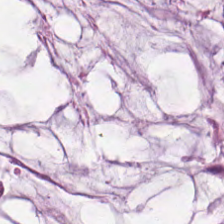Stain: hematoxylin-and-eosin stained section.
Predominant tissue: mucus.
